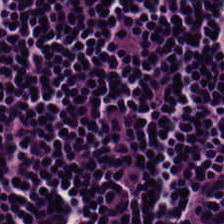H&E stain. 20× equivalent magnification. Impression — lymphoid infiltrate.
